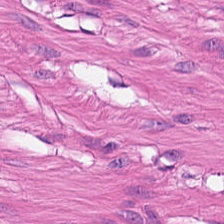Formalin-fixed paraffin-embedded section · brightfield · hematoxylin-and-eosin stained section — Tissue — smooth-muscle tissue.
